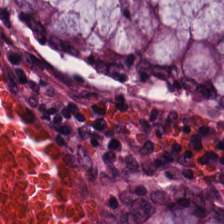0.5 µm/px · H&E-stained tissue section.
Normal colonic mucosa.
